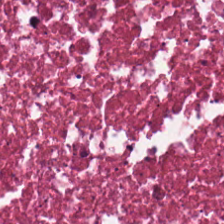Hematoxylin and eosin.
Showing necrotic debris.
